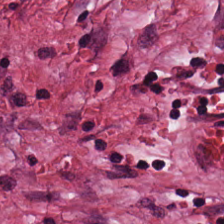H&E stain · 224×224 pixel tile. This field is tumor stroma.
